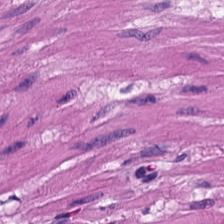0.5 microns per pixel · hematoxylin and eosin.
Impression → muscularis.
